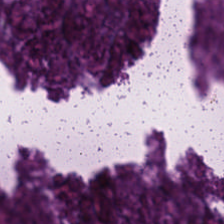0.5 microns per pixel · hematoxylin and eosin — Predominantly cellular debris.
